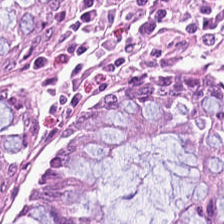Hematoxylin-and-eosin stained section.
Predominantly non-neoplastic colon mucosa.
